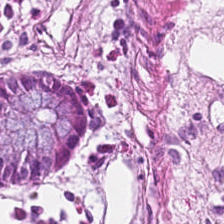Stain: hematoxylin and eosin.
Tissue type: normal colonic mucosa.
